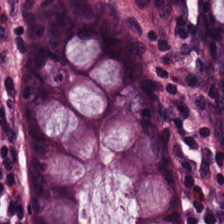H&E stain; 0.5 microns per pixel.
Tissue type = normal colon mucosa.
